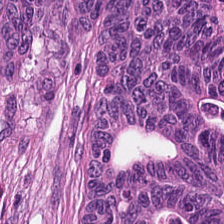Classification: colorectal adenocarcinoma epithelium.
